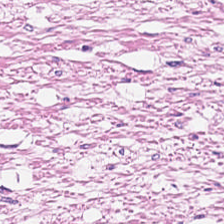H&E — Tissue type: smooth muscle.
